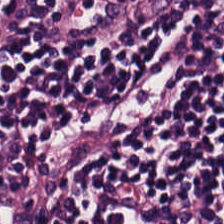Hematoxylin-and-eosin stained section. FFPE tissue section.
Q: What is shown here?
A: Lymphocyte aggregate.
